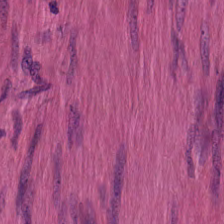Hematoxylin-and-eosin stained section; 224×224 pixel tile.
This field is muscularis.
